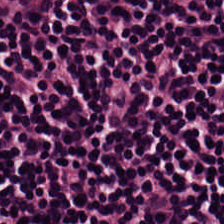H&E.
Tissue: lymphocyte aggregate.
